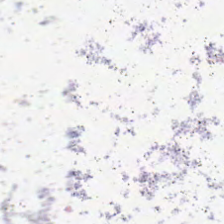Impression → no tissue.
